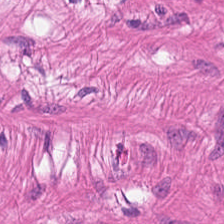Hematoxylin and eosin.
{"tissue_type": "muscularis"}
